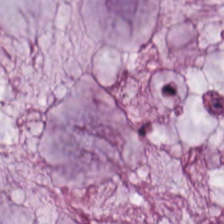Hematoxylin-and-eosin stained section.
Q: What type of tissue is this?
A: The field shows extracellular mucin.
